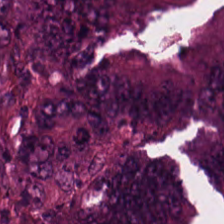Stain: hematoxylin and eosin.
Acquisition: brightfield.
Tile size: 224×224 pixel tile.
Classification: colorectal adenocarcinoma.
